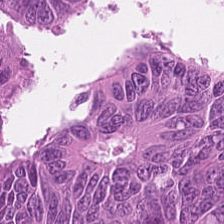Hematoxylin and eosin · 0.5 µm/px. This patch shows adenocarcinoma.
